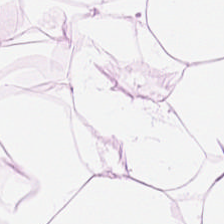H&E. Q: Identify the tissue.
A: It is adipose tissue.
